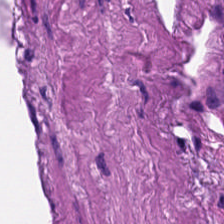Hematoxylin and eosin; brightfield.
The tissue here is smooth muscle.
